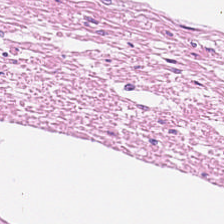H&E. Histology → muscularis.
